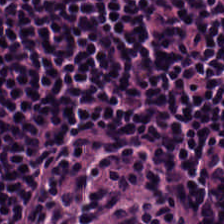Hematoxylin and eosin; 224×224 px patch — Tissue type — lymphocyte aggregate.
